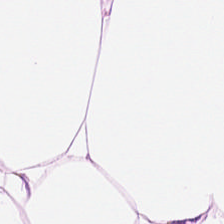Hematoxylin-and-eosin stained section. The predominant tissue is adipocytes.
